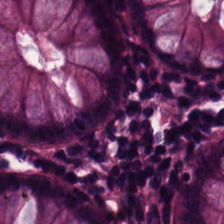H&E; 20× equivalent magnification; FFPE tissue section — This patch shows benign colonic mucosa.
